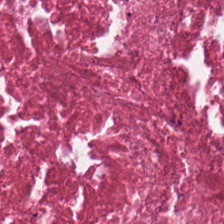Hematoxylin and eosin — Predominant tissue = debris.
